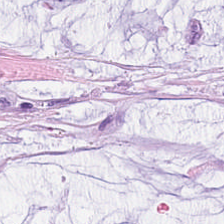0.5 µm per pixel. H&E-stained tissue section. Predominant tissue — mucus.
